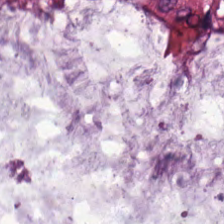224×224 px tile · H&E stain — Extracellular mucin.
